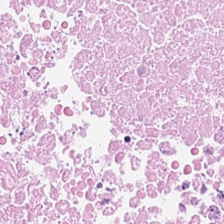Q: What is the predominant tissue type?
A: This is debris.
